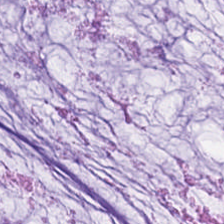Hematoxylin-and-eosin stained section. Predominant tissue = mucin.
